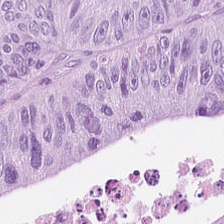The predominant tissue is tumor epithelium.
